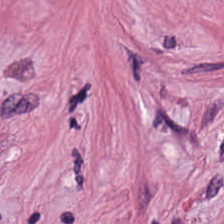Hematoxylin-and-eosin stained section — Predominant tissue — tumor stroma.
